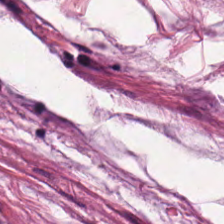Q: What is shown in this field?
A: Mucin.
